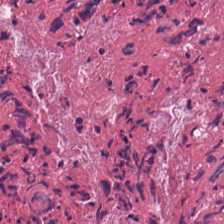224×224 px patch · H&E stain. Classification: cellular debris.
